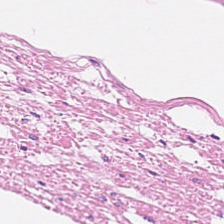Hematoxylin and eosin — Predominant tissue: muscularis.
